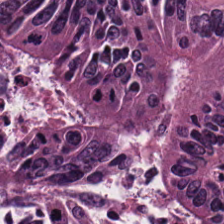H&E · FFPE tissue section · 224×224 pixel tile.
The tissue here is malignant epithelium.
